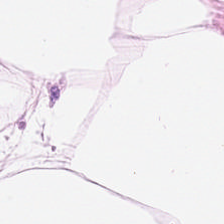H&E stain. Tissue type = fat tissue.
